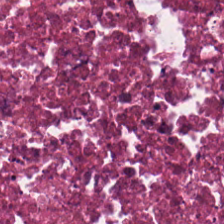Tissue type: debris.
